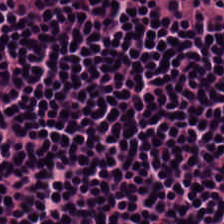Tissue type: lymphocyte aggregate.
